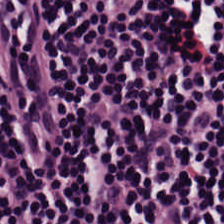H&E stain.
Predominantly lymphocyte aggregate.
